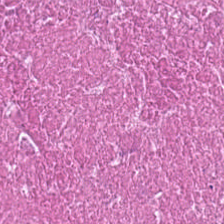224×224 px tile · whole-slide-image patch · H&E stain. This field is cellular debris.
